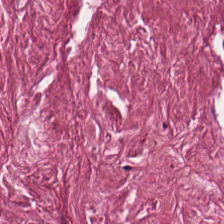H&E. Showing cancer-associated stroma.
